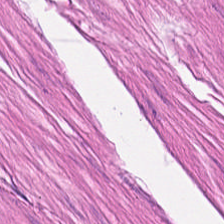Hematoxylin-and-eosin stained section.
This field is smooth muscle.
